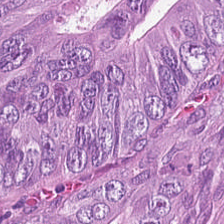Hematoxylin-and-eosin stained section — Q: What tissue is shown?
A: It is adenocarcinoma.
